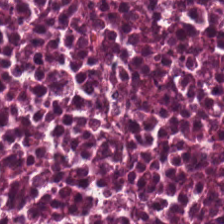This field is necrotic debris.
